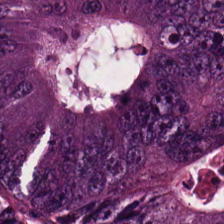FFPE tissue section. Hematoxylin-and-eosin stained section.
{"tissue_type": "colorectal adenocarcinoma epithelium"}
